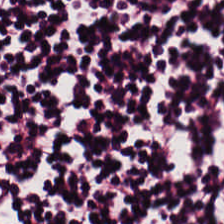Stain: hematoxylin-and-eosin stained section.
Tissue: lymphocyte aggregate.
